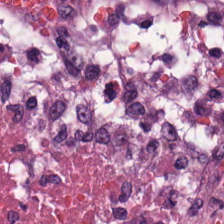H&E stain; 0.5 µm per pixel.
Classification: debris.
